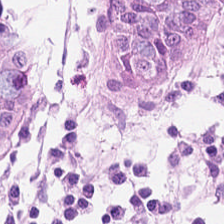Hematoxylin and eosin — Benign colonic mucosa.
